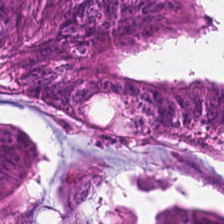Stain: hematoxylin-and-eosin stained section.
Classification: adenocarcinoma.
